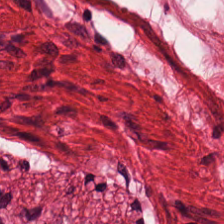Histology → muscularis.
